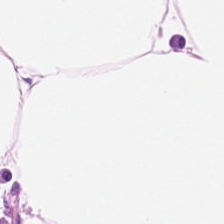H&E. 0.5 microns per pixel — Q: What is shown here?
A: This is fat tissue.
